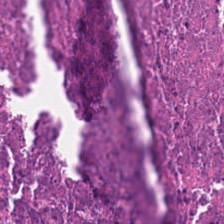Hematoxylin-and-eosin stained section — The predominant tissue is cellular debris.
